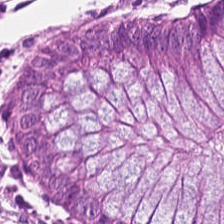Hematoxylin-and-eosin stained section · formalin-fixed paraffin-embedded section · 224×224 pixel tile.
Showing normal colon mucosa.
